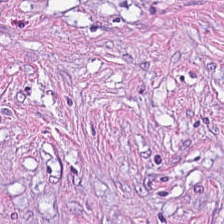Stain: hematoxylin and eosin.
Tissue class: tumor-associated stroma.
